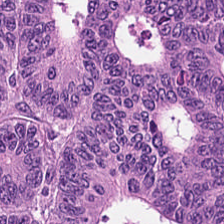Hematoxylin and eosin · 0.5 microns per pixel. Q: What does this patch show?
A: Colorectal adenocarcinoma epithelium.
